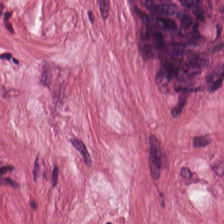H&E · 224×224 px patch. Impression — desmoplastic stroma.
